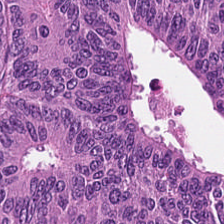The predominant tissue is adenocarcinoma.
